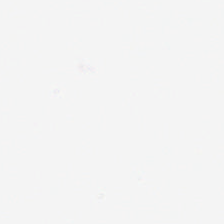Brightfield microscopy · H&E. Field content — no tissue.
